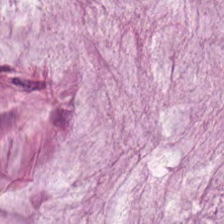Stain: H&E stain.
Tissue type: mucus.
